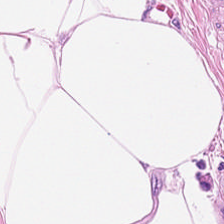Hematoxylin-and-eosin stained section.
Impression — adipose tissue.
